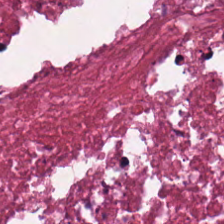H&E-stained tissue section. Tissue: cellular debris.
